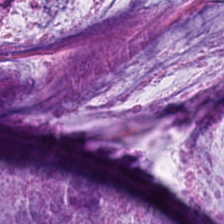H&E. 0.5 microns per pixel. Brightfield microscopy.
This patch shows extracellular mucin.
